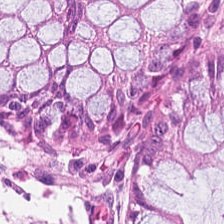224×224 px tile; H&E stain.
Histology — non-neoplastic colon mucosa.
